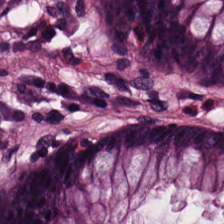Stain: hematoxylin and eosin.
Classification: normal colon mucosa.
